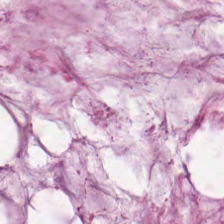H&E. The predominant tissue is mucus.
